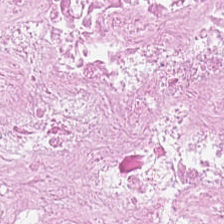FFPE tissue section · 224×224 px tile · hematoxylin-and-eosin stained section. This patch shows necrotic debris.
